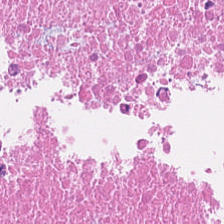H&E.
Q: What is shown here?
A: Cellular debris.
